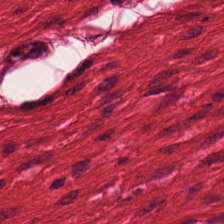H&E stain. Tissue = muscularis.
